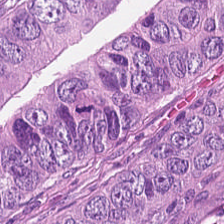Hematoxylin and eosin · brightfield microscopy.
This field is colorectal adenocarcinoma epithelium.
